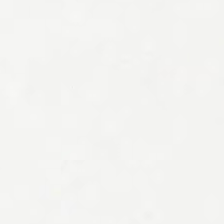H&E stain — This field is background (no tissue).
